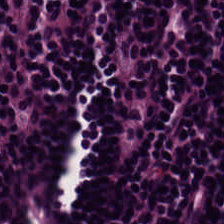Stain: H&E-stained tissue section.
Tissue: lymphocytes.
